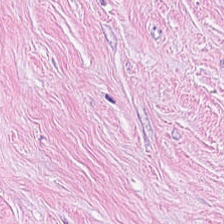The tissue here is cancer-associated stroma.
